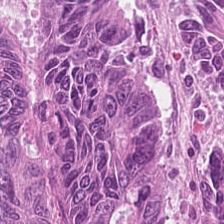FFPE tissue section. H&E. Whole-slide-image patch — Classification — colorectal adenocarcinoma epithelium.
